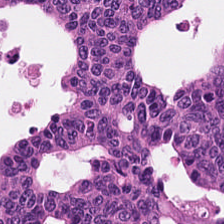H&E stain · 0.5 µm/px. Predominant tissue: adenocarcinoma.
